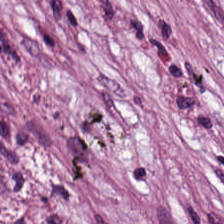224×224 px tile · H&E. Classification — cancer-associated stroma.
